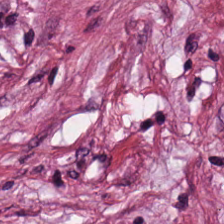Formalin-fixed paraffin-embedded section. H&E-stained tissue section. 0.5 microns per pixel.
Tumor stroma.
